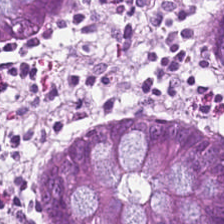Tissue type: normal colon mucosa.
